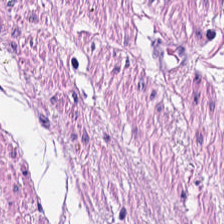H&E stain. FFPE tissue section. Showing smooth muscle.
